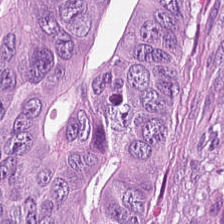Brightfield · H&E-stained tissue section · 20× equivalent magnification.
Q: What tissue is shown?
A: It is malignant epithelium.
